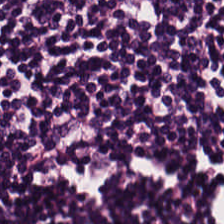0.5 µm per pixel; H&E-stained tissue section.
Finding — lymphoid infiltrate.
